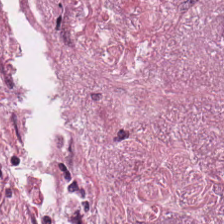H&E stain.
The tissue is cancer-associated stroma.
